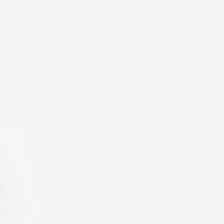H&E-stained tissue section. Q: What does this patch show?
A: No tissue.
